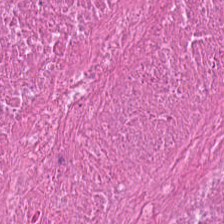Hematoxylin and eosin.
Tissue type = debris.
